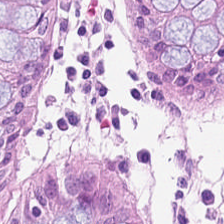H&E. Finding — non-neoplastic colon mucosa.
